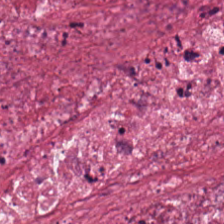0.5 microns per pixel. H&E-stained tissue section.
Q: What tissue type is shown here?
A: This is tumor stroma.
